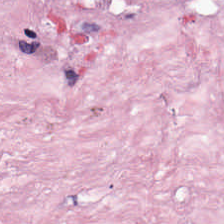Hematoxylin and eosin; FFPE tissue section; WSI patch. Predominant tissue: desmoplastic stroma.
